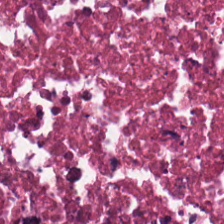224×224 px patch · H&E · FFPE tissue section.
The predominant tissue is debris.
